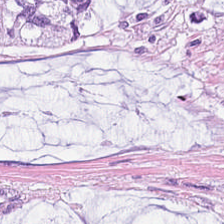H&E.
Histology — mucin.
